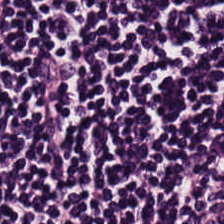20× equivalent magnification. Hematoxylin-and-eosin stained section.
Showing lymphocytes.
